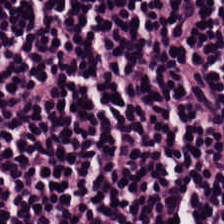H&E stain.
Tissue type: lymphocytes.
